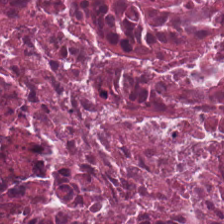H&E · WSI patch · 224×224 px patch. {"tissue_type": "necrotic debris"}
